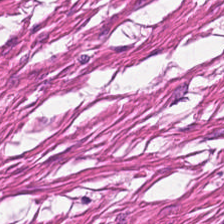Q: Classify this patch.
A: The field shows smooth muscle.
